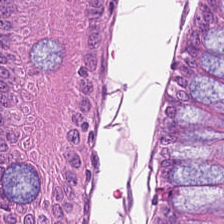H&E — benign colonic mucosa.
